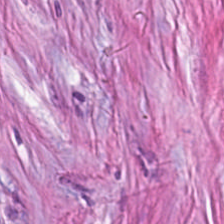H&E-stained tissue section · 0.5 microns per pixel. Tissue class: desmoplastic stroma.
